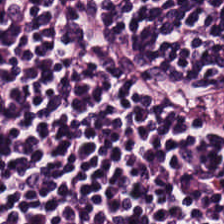H&E-stained tissue section. This patch shows lymphocytic infiltrate.
